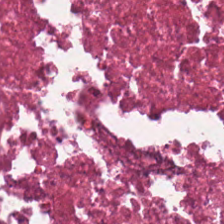Stain: hematoxylin-and-eosin stained section.
Predominant tissue: necrotic debris.
